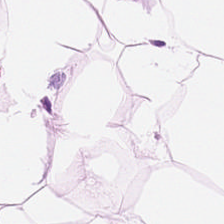Brightfield; H&E stain. The tissue here is adipocytes.
